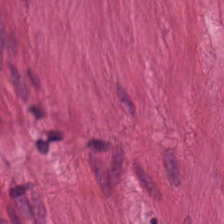Stain: hematoxylin and eosin.
Resolution: 0.5 µm/px.
Tissue class: smooth-muscle tissue.
